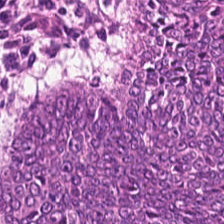Stain: hematoxylin and eosin.
Resolution: 0.5 µm/px.
Preparation: FFPE.
Tissue class: tumor epithelium.
